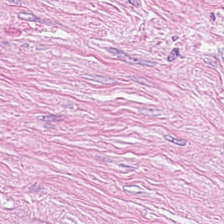Stain: hematoxylin-and-eosin stained section.
Tissue class: cancer-associated stroma.
